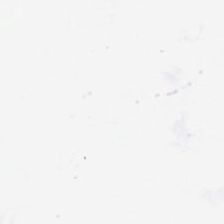Hematoxylin-and-eosin stained section. Q: Classify this patch.
A: The field shows empty background.
